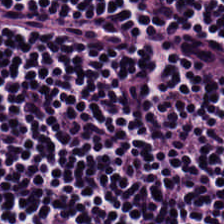FFPE tissue section · 0.5 µm/px · hematoxylin-and-eosin stained section. Q: What tissue is shown?
A: It is lymphocyte aggregate.
